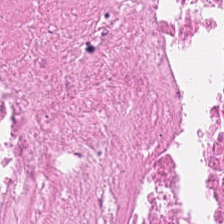224×224 px tile. H&E-stained tissue section.
Q: What is shown here?
A: This is debris.
